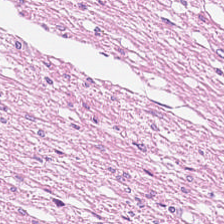H&E.
{"tissue_type": "smooth muscle"}
